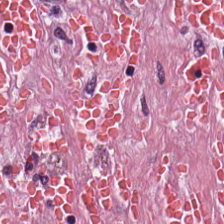Predominant tissue = tumor stroma.
